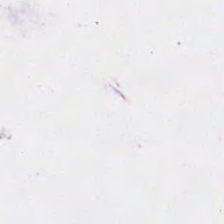Q: Classify this patch.
A: It is background (no tissue).
